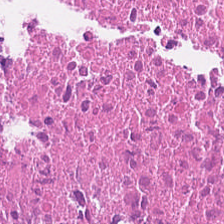Hematoxylin-and-eosin stained section — This patch shows necrotic debris.
